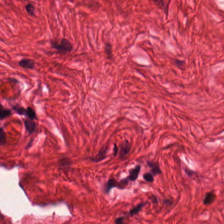FFPE. Hematoxylin-and-eosin stained section — Showing smooth muscle.
